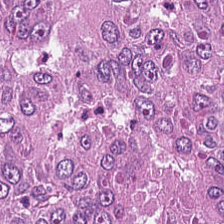Hematoxylin-and-eosin section: tumor epithelium.
